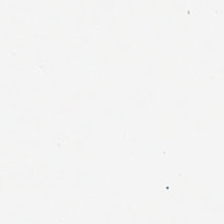This field is background (no tissue).
